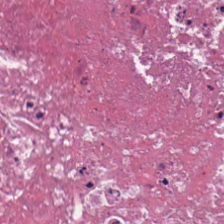Showing necrotic debris.
